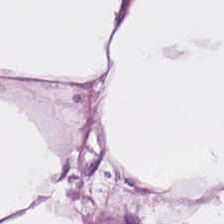H&E · 0.5 µm/px · formalin-fixed paraffin-embedded section. Tissue type: adipose tissue.
